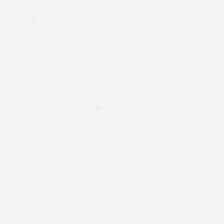Stain: H&E stain.
Resolution: 20× equivalent magnification.
Content: background (no tissue).
